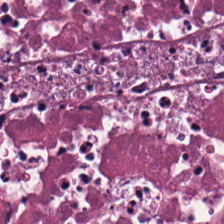WSI patch; H&E-stained tissue section; FFPE. Finding → necrotic debris.
